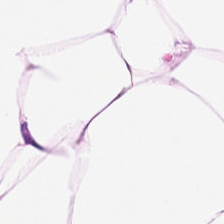Stain: H&E stain.
Preparation: formalin-fixed paraffin-embedded section.
Predominant tissue: fat tissue.
